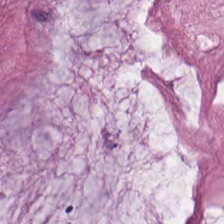Stain: H&E-stained tissue section.
Predominant tissue: extracellular mucin.
